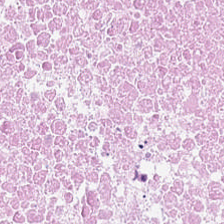This patch shows debris.
